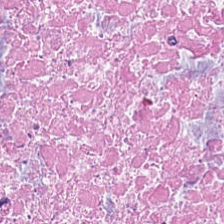Hematoxylin-and-eosin stained section. Impression — debris.
